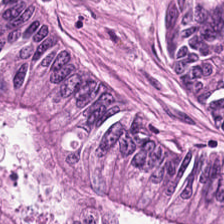Hematoxylin and eosin.
Tissue class = malignant epithelium.
